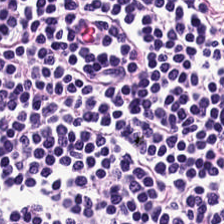0.5 µm/px; H&E stain; FFPE tissue section — Finding — lymphocyte aggregate.
